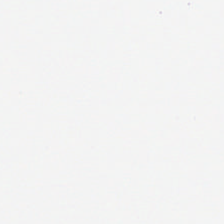Whole-slide-image patch; H&E-stained tissue section; 0.5 µm per pixel — No tissue present; background only.
